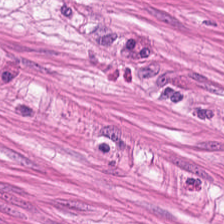Hematoxylin and eosin · 0.5 µm per pixel — Histology → muscularis.
